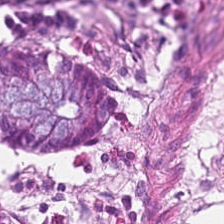The tissue here is normal colon mucosa.
